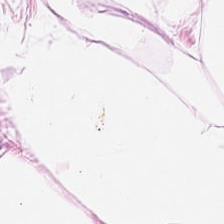This patch shows adipose tissue.
